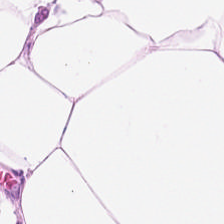H&E stain · 224×224 pixel tile.
Fat tissue.
